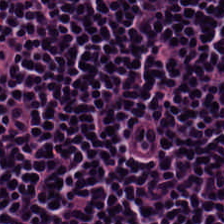Lymphocyte aggregate.
